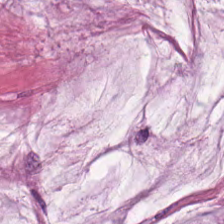Classification — mucus.
